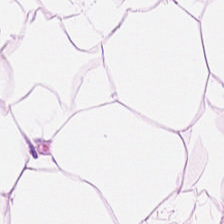Formalin-fixed paraffin-embedded section. H&E stain — This patch shows adipocytes.
